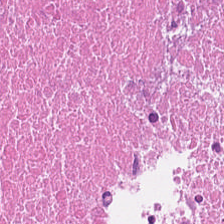The tissue is necrotic debris.
